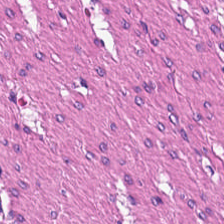Stain: H&E.
Classification: muscularis.
